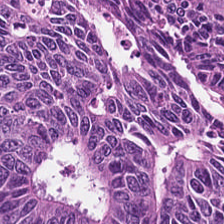H&E-stained tissue section.
Impression → colorectal adenocarcinoma.
